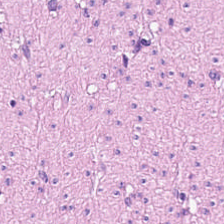Hematoxylin and eosin. This patch shows smooth-muscle tissue.
